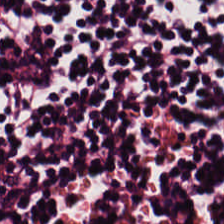Stain: hematoxylin-and-eosin stained section.
Predominant tissue: lymphocytes.
